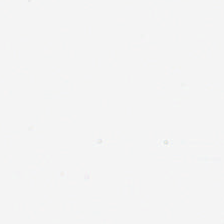Hematoxylin-and-eosin stained section; FFPE tissue section; WSI patch.
No tissue present; background only.
